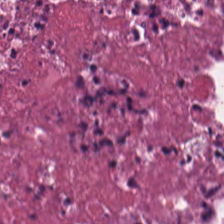H&E-stained tissue section. This patch shows debris.
